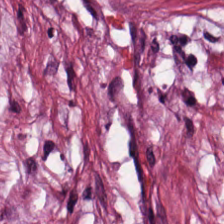Hematoxylin and eosin — Tissue class = tumor stroma.
